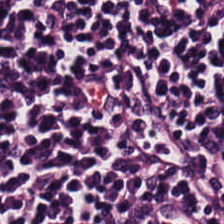Hematoxylin and eosin.
Lymphocytes.
